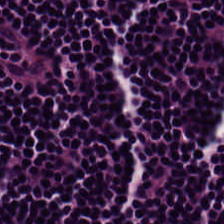Predominantly lymphoid infiltrate.
